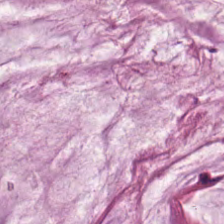224×224 px tile; H&E-stained tissue section. Q: What does this patch show?
A: It is extracellular mucin.
